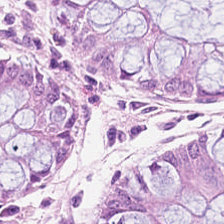H&E stain · 0.5 µm per pixel. Classification — normal colon mucosa.
